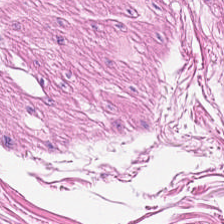Brightfield. H&E-stained tissue section. FFPE tissue section.
Tissue class: smooth muscle.
